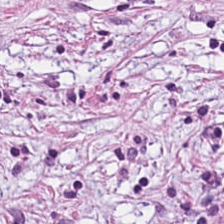Hematoxylin and eosin · brightfield microscopy · FFPE.
Q: What is the predominant tissue type?
A: This is tumor stroma.
